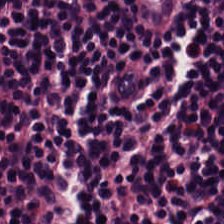The predominant tissue is lymphocytic infiltrate.
